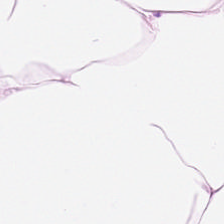H&E. Whole-slide-image patch. This field is adipocytes.
